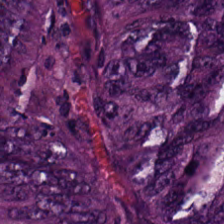Stain: H&E.
Tissue: tumor epithelium.
